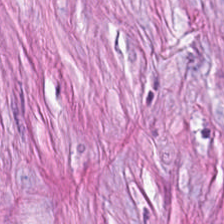20× equivalent magnification. WSI patch. Hematoxylin and eosin. Predominantly cancer-associated stroma.
